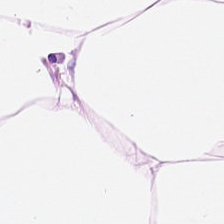{"tissue_type": "adipose tissue"}
